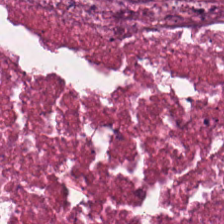Hematoxylin-and-eosin stained section · 0.5 µm per pixel · whole-slide-image patch. Q: What does this patch show?
A: It is debris.
